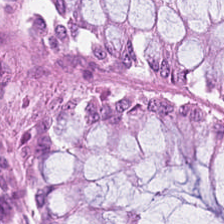H&E-stained tissue section. Q: What is shown here?
A: Normal colon mucosa.
